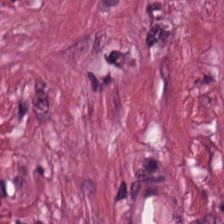Histology — desmoplastic stroma.
